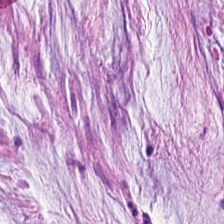Stain: H&E-stained tissue section.
Resolution: 0.5 microns per pixel.
Tissue class: extracellular mucin.
